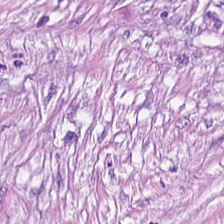Hematoxylin and eosin — The tissue here is tumor-associated stroma.
